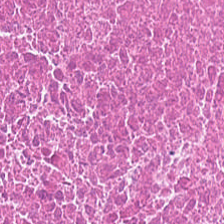Hematoxylin and eosin. Predominantly cellular debris.
